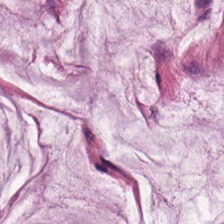H&E stain.
{"tissue_type": "mucin"}
